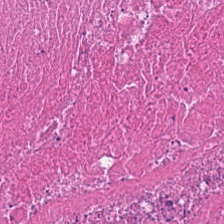Hematoxylin and eosin — Predominant tissue — necrotic debris.
